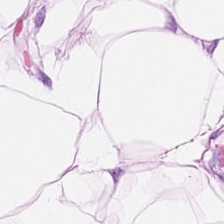Brightfield; hematoxylin-and-eosin stained section — Q: What is the predominant tissue type?
A: This is fat tissue.
